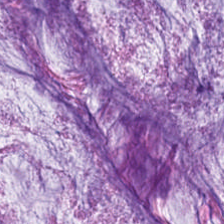WSI patch; H&E stain — The tissue class is extracellular mucin.
